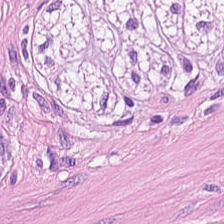H&E. Showing muscularis.
